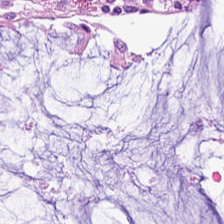Tissue class = non-neoplastic colon mucosa.
